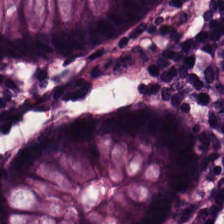H&E-stained tissue section — Impression → non-neoplastic colon mucosa.
